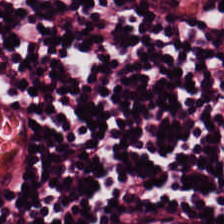Stain: hematoxylin and eosin.
Resolution: 0.5 µm per pixel.
Tissue: lymphocytic infiltrate.
